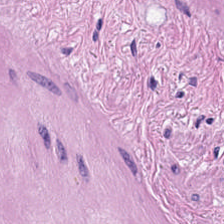224×224 px patch; H&E stain.
Q: Classify this patch.
A: The field shows muscularis.
